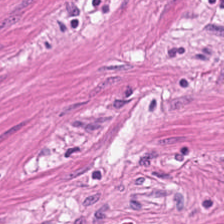Hematoxylin and eosin; WSI patch; formalin-fixed paraffin-embedded section.
Tissue class: smooth-muscle tissue.
